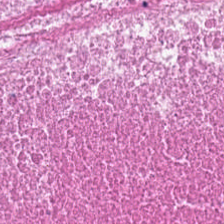Hematoxylin and eosin. Predominantly debris.
